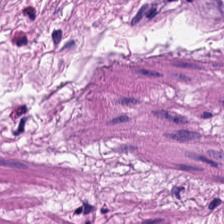H&E stain; 0.5 µm/px. Q: What tissue is shown?
A: This is smooth muscle.
